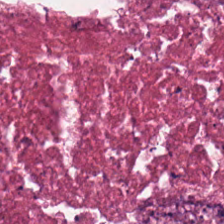Q: What is shown here?
A: The field shows necrotic debris.
